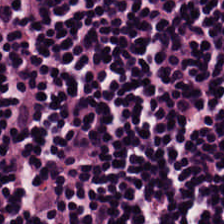FFPE tissue section · H&E stain.
Q: What is shown here?
A: It is lymphocytes.
